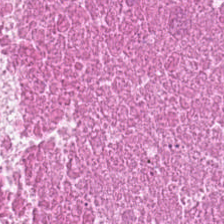FFPE tissue section; hematoxylin-and-eosin stained section — The predominant tissue is cellular debris.
